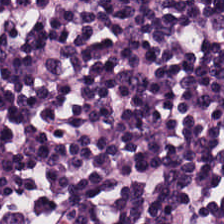FFPE; hematoxylin-and-eosin stained section.
Q: Classify this patch.
A: It is lymphoid infiltrate.
